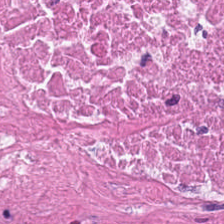H&E-stained tissue section — Predominantly necrotic debris.
